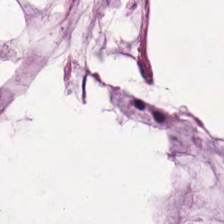Hematoxylin-and-eosin stained section. Showing mucin.
